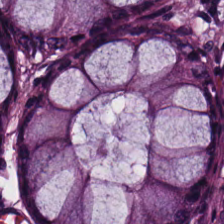H&E stain — Q: What does this patch show?
A: The field shows non-neoplastic colon mucosa.
